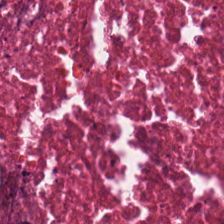Q: What is shown here?
A: Cellular debris.
